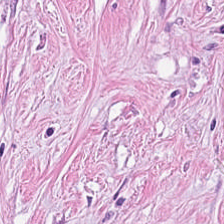Hematoxylin-and-eosin stained section — The tissue here is cancer-associated stroma.
